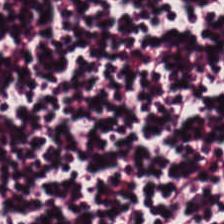Stain: hematoxylin-and-eosin stained section.
Tile size: 224×224 pixel tile.
Tissue type: lymphocyte aggregate.
